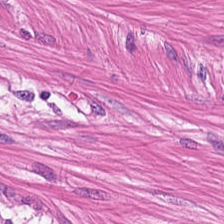Hematoxylin and eosin — Predominant tissue: smooth muscle.
